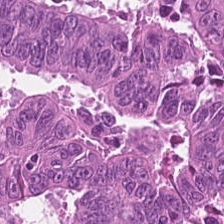Stain: H&E stain.
Tissue class: tumor epithelium.
